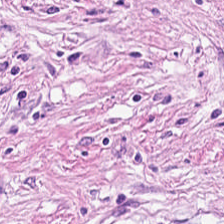H&E.
Predominant tissue — tumor stroma.
